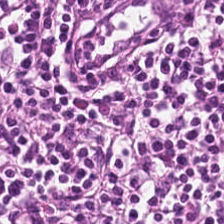This field is lymphocyte aggregate.
